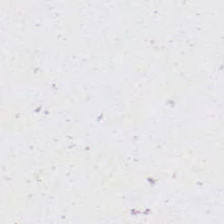No tissue present; background only.
